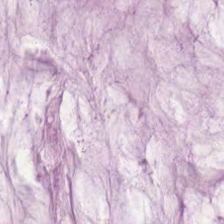Stain: hematoxylin and eosin.
Tile size: 224×224 px patch.
Acquisition: brightfield.
Tissue class: mucin.
